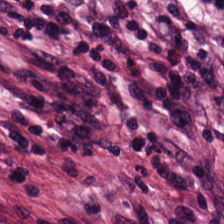0.5 µm/px · H&E.
Finding → cancer-associated stroma.
